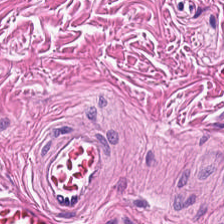H&E-stained tissue section.
Impression → smooth-muscle tissue.
